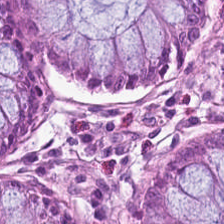The tissue is normal colonic mucosa.
